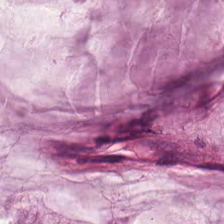Histology → extracellular mucin.
